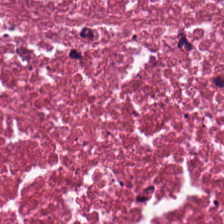Q: What tissue is shown?
A: This is debris.
